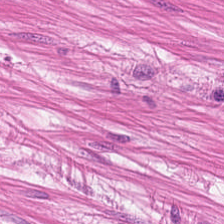H&E-stained tissue section; 224×224 px patch; 20× equivalent magnification. Q: Classify this patch.
A: The field shows smooth muscle.
